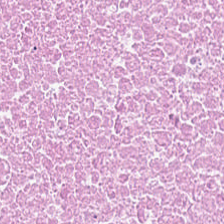H&E stain.
Tissue: necrotic debris.
